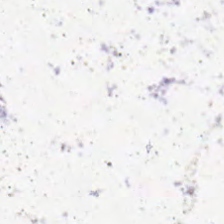No tissue present; background only.
